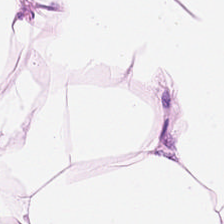H&E; 224×224 px patch; formalin-fixed paraffin-embedded section.
Adipose tissue.
